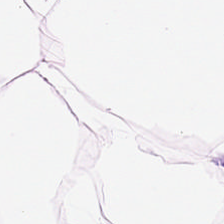Stain: hematoxylin and eosin.
Resolution: 20× equivalent magnification.
Acquisition: whole-slide-image patch.
Predominant tissue: fat tissue.
